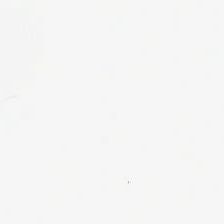H&E stain · 224×224 px patch — Q: Classify this patch.
A: The field shows no tissue.
